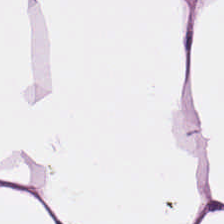0.5 microns per pixel; 224×224 px tile; H&E-stained tissue section.
This patch shows adipose.
